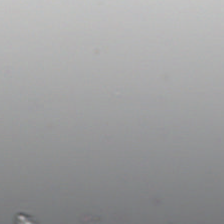WSI patch; hematoxylin and eosin. Q: What does this patch show?
A: Background (no tissue).
